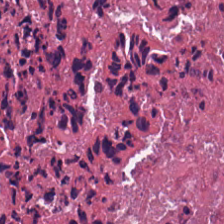Stain: hematoxylin-and-eosin stained section.
Tissue: necrotic debris.
